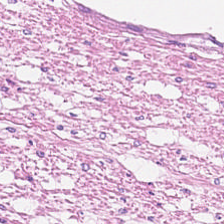Hematoxylin-and-eosin stained section · 0.5 microns per pixel.
Tissue type — smooth muscle.
